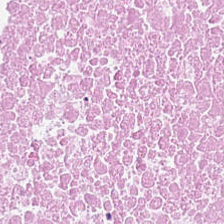H&E stain.
Predominantly debris.
